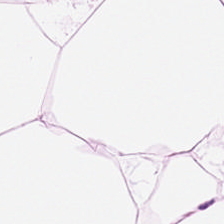20× equivalent magnification. Hematoxylin and eosin. FFPE. Adipose tissue.
